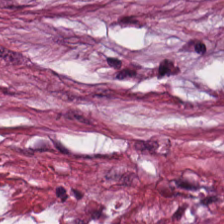Stain: H&E stain.
Tile size: 224×224 pixel tile.
Acquisition: brightfield.
Tissue type: cancer-associated stroma.
